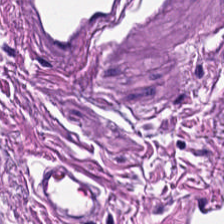Stain: hematoxylin and eosin.
Acquisition: brightfield microscopy.
Tile size: 224×224 pixel tile.
Classification: smooth muscle.
